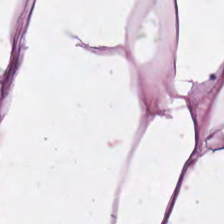H&E stain.
This patch shows adipocytes.
